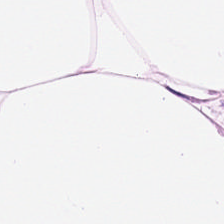H&E-stained tissue section — This patch shows fat tissue.
